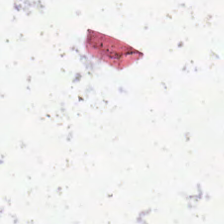H&E stain; formalin-fixed paraffin-embedded section — Q: What is shown here?
A: It is background (no tissue).
